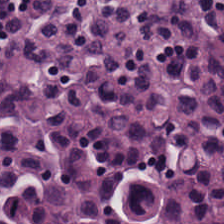Hematoxylin and eosin. 0.5 µm/px.
{"tissue_type": "lymphocytes"}
